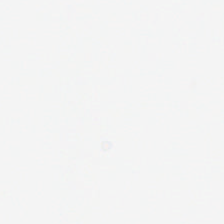Brightfield. Hematoxylin-and-eosin stained section. Q: What does this patch show?
A: Empty background.
